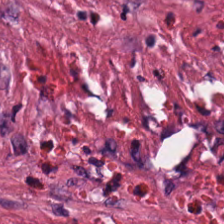Stain: hematoxylin-and-eosin stained section.
Tissue type: cancer-associated stroma.
